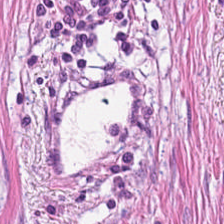Stain: H&E stain.
Tissue: tumor stroma.
